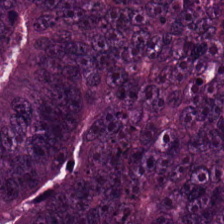H&E-stained tissue section. 0.5 microns per pixel.
Q: What type of tissue is this?
A: The field shows colorectal adenocarcinoma epithelium.
